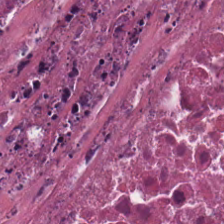Formalin-fixed paraffin-embedded section · whole-slide-image patch · hematoxylin and eosin.
The tissue type is cellular debris.
